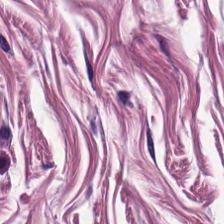The tissue here is smooth muscle.
